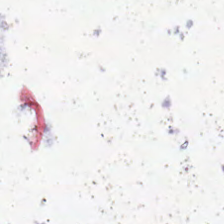Field content: no tissue.
